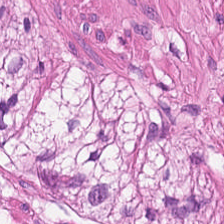Stain: H&E stain.
Tile size: 224×224 pixel tile.
Resolution: 0.5 µm per pixel.
Tissue type: smooth muscle.
